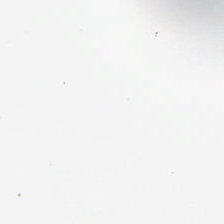H&E-stained tissue section. Q: Classify this patch.
A: The field shows no tissue.
